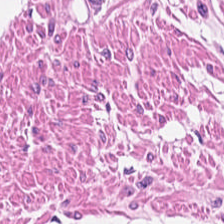Hematoxylin and eosin. Predominantly muscularis.
